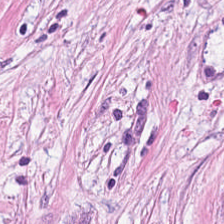Tumor stroma.
